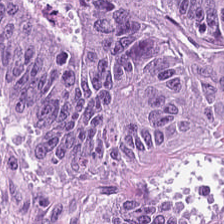Hematoxylin-and-eosin stained section. The tissue here is colorectal adenocarcinoma epithelium.
